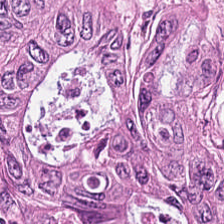Hematoxylin and eosin. Q: What is the predominant tissue type?
A: The field shows adenocarcinoma.
